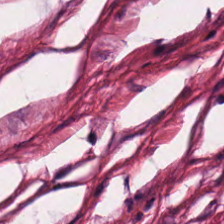H&E stain · 20× equivalent magnification — The predominant tissue is tumor stroma.
